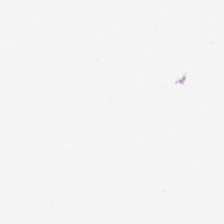Hematoxylin-and-eosin stained section. This patch shows empty background.
